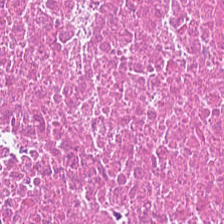Impression → necrotic debris.
